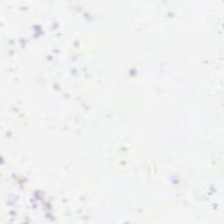Finding — background.
